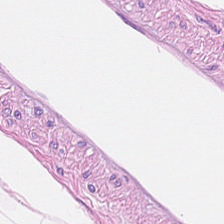H&E stain — Q: Classify this patch.
A: Adipose.
